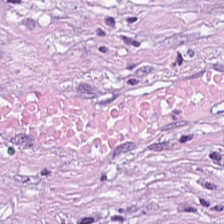Hematoxylin-and-eosin stained section · 20× equivalent magnification · formalin-fixed paraffin-embedded section — The tissue here is tumor-associated stroma.
